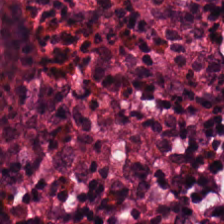H&E-stained tissue section.
Q: What is shown in this field?
A: The field shows non-neoplastic colon mucosa.
